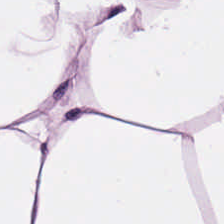H&E-stained tissue section — Q: What is shown in this field?
A: It is adipocytes.
